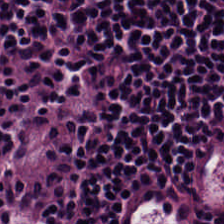Hematoxylin-and-eosin stained section. FFPE tissue section. Predominant tissue: lymphocyte aggregate.
